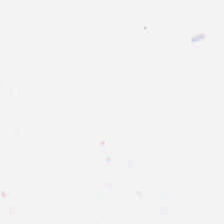Stain: H&E-stained tissue section.
Classification: background (no tissue).
